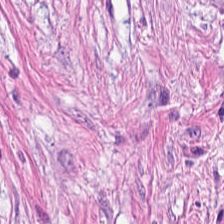H&E. Showing tumor stroma.
